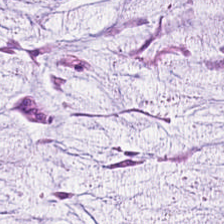Hematoxylin-and-eosin stained section — This patch shows mucin.
